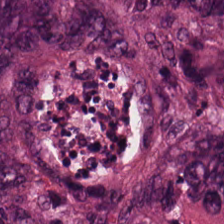Hematoxylin and eosin — The tissue class is tumor epithelium.
